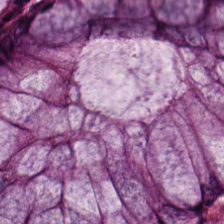H&E-stained tissue section. Q: What is shown in this field?
A: This is benign colonic mucosa.
